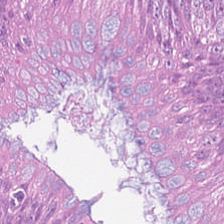Q: What tissue is shown?
A: It is colorectal adenocarcinoma.
